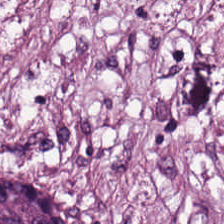Tissue type: desmoplastic stroma.
